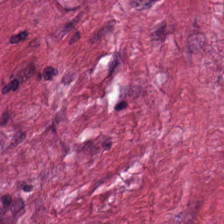Hematoxylin-and-eosin stained section — The tissue class is tumor stroma.
